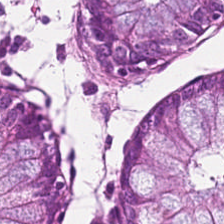H&E — Q: What tissue is shown?
A: It is benign colonic mucosa.
